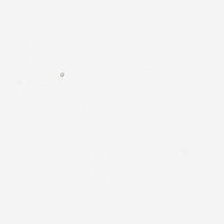Hematoxylin-and-eosin stained section; 224×224 px tile; formalin-fixed paraffin-embedded section — Q: What does this patch show?
A: No tissue.
